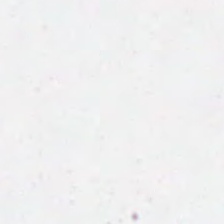H&E stain; brightfield microscopy — Q: What does this patch show?
A: This is no tissue.
